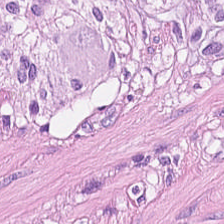Hematoxylin-and-eosin stained section. {"tissue_type": "muscularis"}
